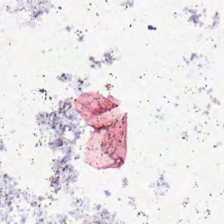Hematoxylin and eosin — This patch shows background (no tissue).
